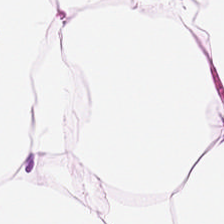0.5 microns per pixel. Hematoxylin-and-eosin stained section.
This field is adipose tissue.
